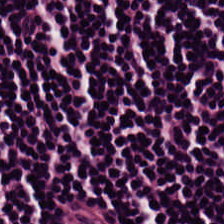The tissue is lymphocytic infiltrate.
